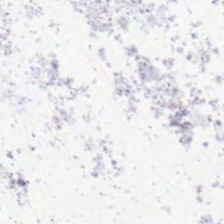Stain: hematoxylin-and-eosin stained section.
Content: background.
